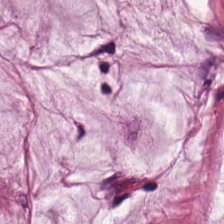Whole-slide-image patch. Hematoxylin-and-eosin stained section. 224×224 px patch — Finding — mucus.
